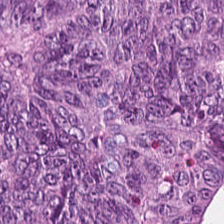Finding → malignant epithelium.
